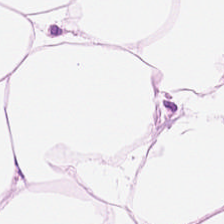Hematoxylin and eosin.
Tissue class: adipose.
